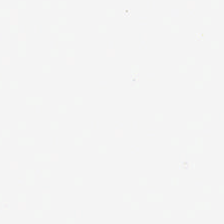H&E-stained tissue section. Brightfield microscopy.
Q: What is shown in this field?
A: Background (no tissue).
